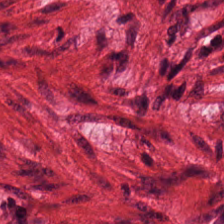The tissue here is smooth muscle.
